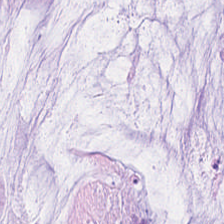H&E stain; brightfield microscopy; 224×224 px tile.
Q: Identify the tissue.
A: Extracellular mucin.
